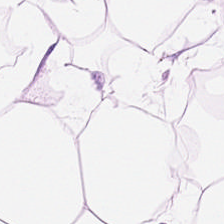Showing adipocytes.
